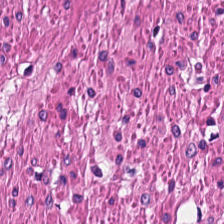Hematoxylin and eosin — Tissue class — smooth-muscle tissue.
